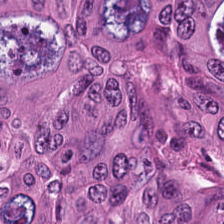H&E — The predominant tissue is colorectal adenocarcinoma.
